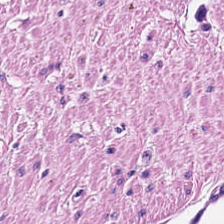Q: What is shown in this field?
A: This is smooth muscle.
